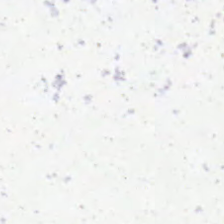H&E stain; WSI patch. {"content": "background"}
